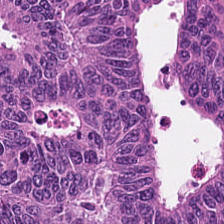Formalin-fixed paraffin-embedded section. H&E stain. WSI patch. Predominant tissue — tumor epithelium.
